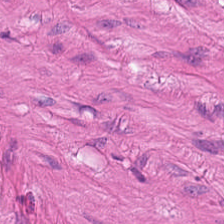The tissue here is muscularis.
